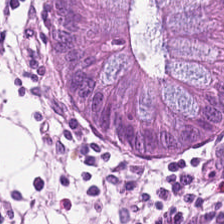Stain: hematoxylin and eosin.
Tissue type: non-neoplastic colon mucosa.
